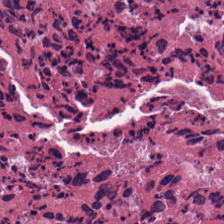H&E stain — The predominant tissue is necrotic debris.
